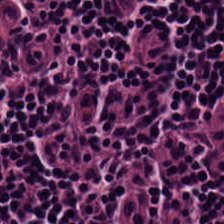H&E · brightfield. {"tissue_type": "lymphocyte aggregate"}
